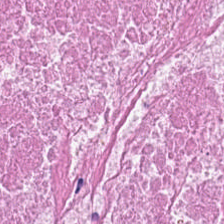Q: Identify the tissue.
A: The field shows cellular debris.
